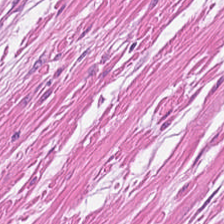Stain: H&E.
Classification: muscularis.
